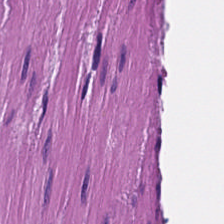H&E stain — Tissue type: smooth muscle.
